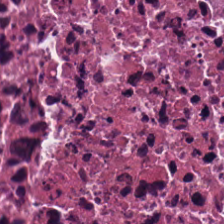H&E — The tissue class is necrotic debris.
